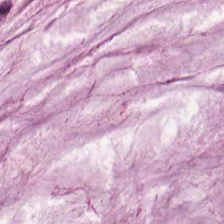Formalin-fixed paraffin-embedded section · 0.5 µm/px · H&E — Tissue — extracellular mucin.
